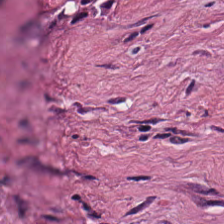Hematoxylin and eosin; FFPE.
This patch shows desmoplastic stroma.
